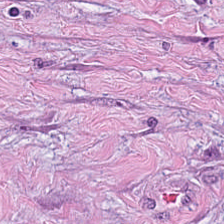Finding — desmoplastic stroma.
